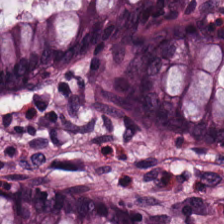H&E-stained tissue section — This field is non-neoplastic colon mucosa.
